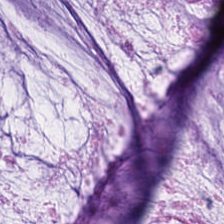H&E-stained tissue section showing mucin.
